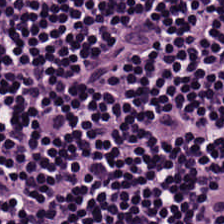224×224 px tile; 0.5 microns per pixel; H&E-stained tissue section.
Lymphocyte aggregate.
